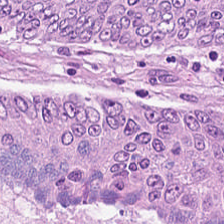Brightfield; hematoxylin and eosin; FFPE — Impression → colorectal adenocarcinoma epithelium.
